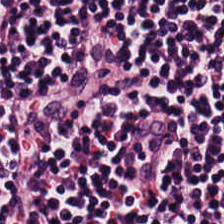Stain: hematoxylin-and-eosin stained section.
Predominant tissue: lymphocyte aggregate.
